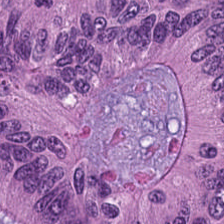Brightfield microscopy · H&E stain.
Histology → tumor epithelium.
